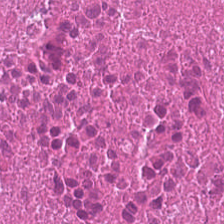H&E stain. Classification = necrotic debris.
